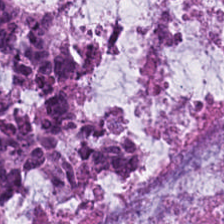H&E stain. 20× equivalent magnification — Q: What is the predominant tissue type?
A: Mucus.
